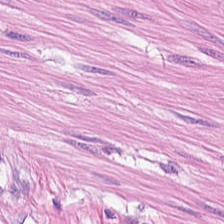FFPE tissue section. Hematoxylin-and-eosin stained section. Brightfield microscopy.
Finding — smooth muscle.
